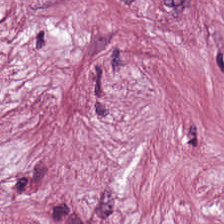Cancer-associated stroma.
